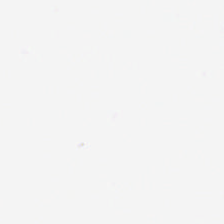H&E stain. Q: Classify this patch.
A: The field shows background (no tissue).
